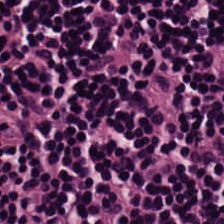Hematoxylin and eosin.
Q: What is the predominant tissue type?
A: The field shows lymphocyte aggregate.
